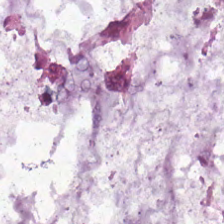Q: What is the predominant tissue type?
A: It is extracellular mucin.
